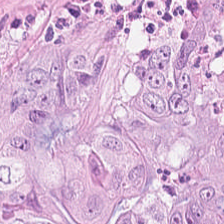Impression → tumor epithelium.
